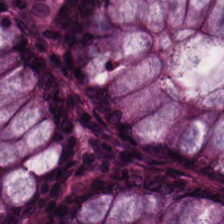Hematoxylin-and-eosin stained section. Finding — normal colonic mucosa.
